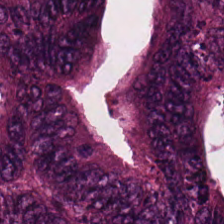Hematoxylin-and-eosin stained section. Whole-slide-image patch — Classification — colorectal adenocarcinoma epithelium.
